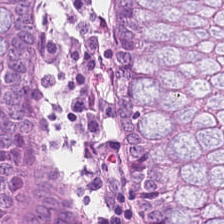Showing non-neoplastic colon mucosa.
